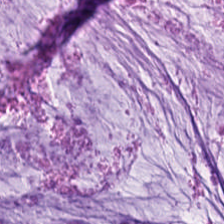H&E stain. 224×224 px patch. Extracellular mucin.
